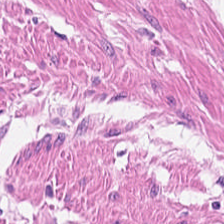H&E — smooth-muscle tissue.
